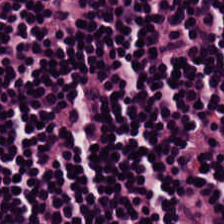Hematoxylin-and-eosin stained section. 224×224 px patch — Q: What tissue type is shown here?
A: This is lymphocyte aggregate.
